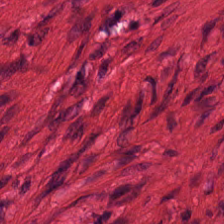H&E. Showing smooth-muscle tissue.
